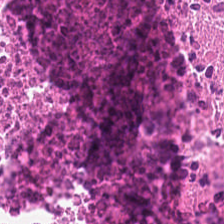FFPE; 0.5 µm per pixel; H&E stain. The tissue type is debris.
